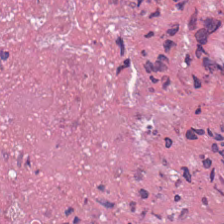224×224 px patch · hematoxylin and eosin · FFPE tissue section.
{"tissue_type": "cellular debris"}
